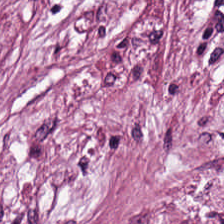H&E-stained tissue section. WSI patch — Tissue: tumor stroma.
